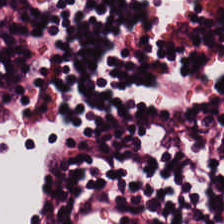H&E — lymphocyte aggregate.
